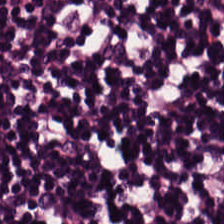Tissue type — lymphocytes.
